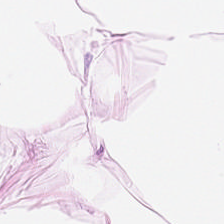H&E stain · 224×224 pixel tile — Showing fat tissue.
